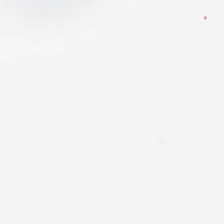H&E stain.
This field is background (no tissue).
